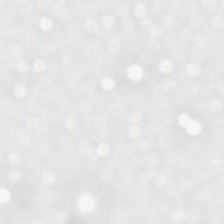Formalin-fixed paraffin-embedded section; hematoxylin-and-eosin stained section; 0.5 microns per pixel. This patch shows empty background.
